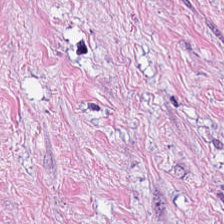Stain: hematoxylin and eosin.
Classification: cancer-associated stroma.
